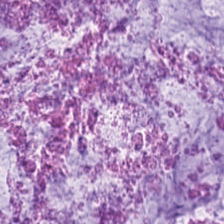This field is mucus.
